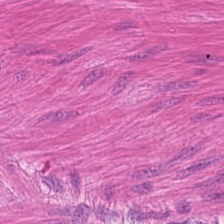H&E — Classification — muscularis.
